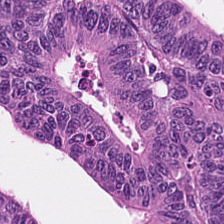H&E stain — This field is malignant epithelium.
